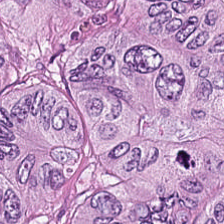Tissue — colorectal adenocarcinoma epithelium.
